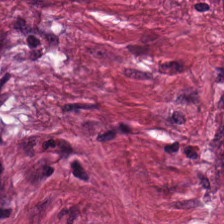224×224 px patch. H&E-stained tissue section. Q: Classify this patch.
A: It is cancer-associated stroma.
